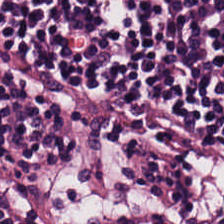Stain: hematoxylin-and-eosin stained section.
Acquisition: brightfield microscopy.
Predominant tissue: lymphoid infiltrate.
